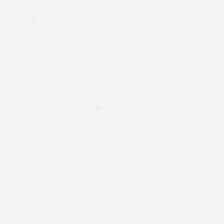H&E stain. {"content": "empty background"}
